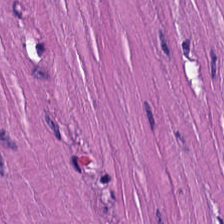Stain: H&E-stained tissue section.
Preparation: formalin-fixed paraffin-embedded section.
Classification: muscularis.
